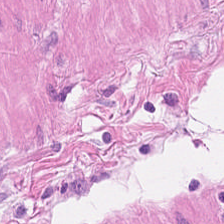The tissue here is muscularis.
